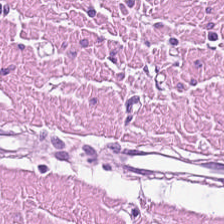H&E — Smooth muscle.
